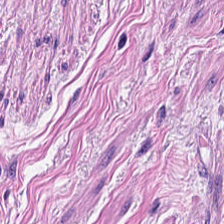Hematoxylin and eosin. WSI patch. FFPE.
Predominantly smooth-muscle tissue.
